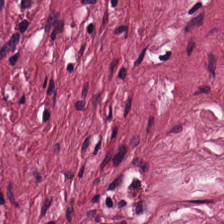H&E stain. Q: What type of tissue is this?
A: The field shows cancer-associated stroma.
